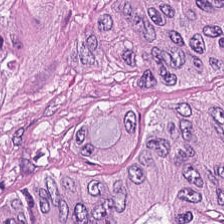20× equivalent magnification. Hematoxylin and eosin. Impression → colorectal adenocarcinoma.
